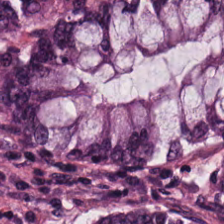Brightfield. Hematoxylin and eosin.
Q: What type of tissue is this?
A: The field shows normal colonic mucosa.
